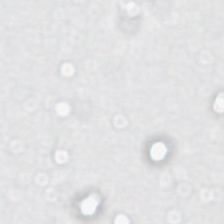0.5 microns per pixel. H&E — Classification — no tissue.
